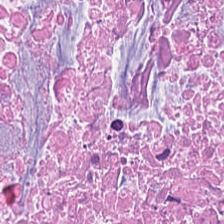Hematoxylin and eosin — Histology → necrotic debris.
